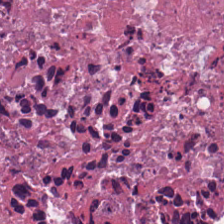Hematoxylin-and-eosin stained section. Q: Identify the tissue.
A: The field shows debris.
